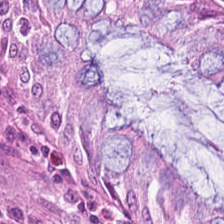H&E-stained tissue section — Benign colonic mucosa.
